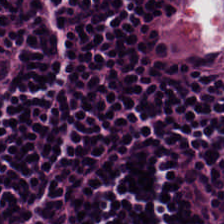Stain: H&E.
Tissue class: lymphoid infiltrate.
